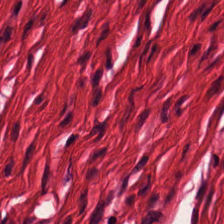224×224 pixel tile · brightfield microscopy · H&E — The tissue here is muscularis.
